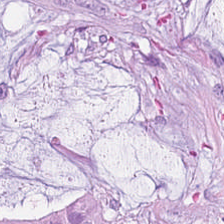H&E. FFPE.
Tissue class — mucin.
